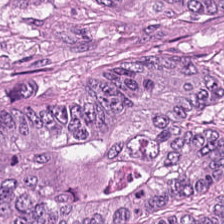H&E.
This patch shows colorectal adenocarcinoma.
